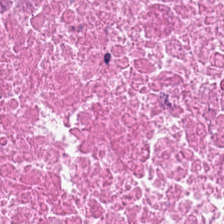224×224 pixel tile; hematoxylin-and-eosin stained section.
The predominant tissue is necrotic debris.
